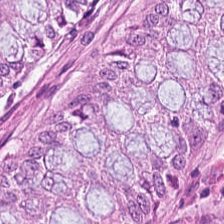WSI patch. Hematoxylin-and-eosin stained section — Tissue type — normal colon mucosa.
